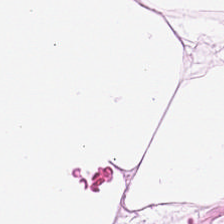Showing adipose tissue.
